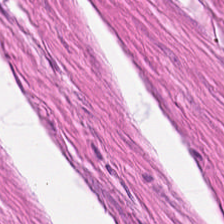H&E. Finding → smooth muscle.
